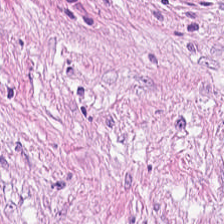H&E-stained tissue section showing tumor stroma.
